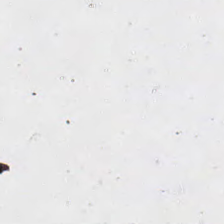{"content": "empty background"}
